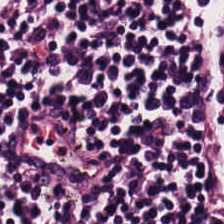H&E. Formalin-fixed paraffin-embedded section. Tissue type = lymphoid infiltrate.
